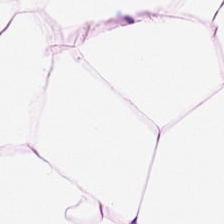The tissue is adipose tissue.
